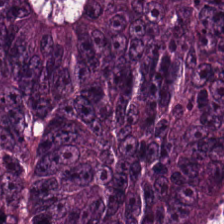FFPE. H&E.
Q: Classify this patch.
A: This is tumor epithelium.
